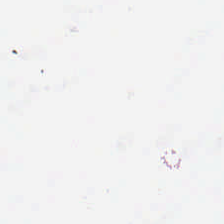Hematoxylin and eosin — Content: no tissue.
